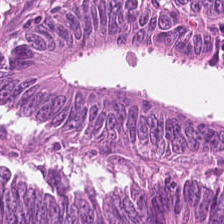Hematoxylin and eosin — The predominant tissue is malignant epithelium.
